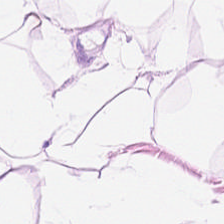H&E patch showing fat tissue.
